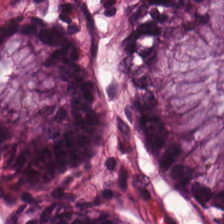Stain: H&E.
Tissue type: non-neoplastic colon mucosa.
